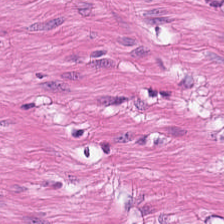Stain: H&E stain.
Acquisition: brightfield.
Predominant tissue: smooth-muscle tissue.
